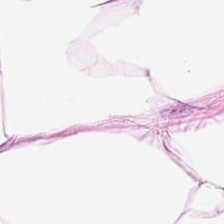WSI patch. H&E stain. Adipocytes.
